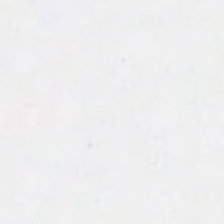H&E stain; 0.5 µm/px. This field is background (no tissue).
